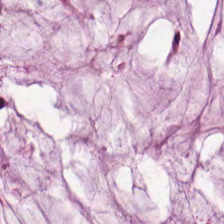H&E stain. The tissue type is mucus.
